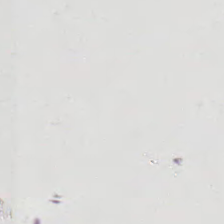Formalin-fixed paraffin-embedded section; hematoxylin and eosin. This patch shows background.
